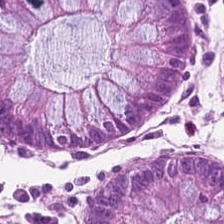This patch shows normal colon mucosa.
